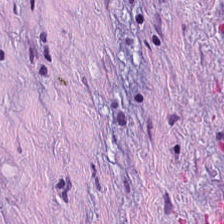H&E stain. 20× equivalent magnification. Impression — tumor stroma.
